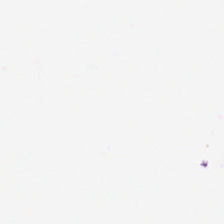Hematoxylin and eosin — No tissue.
